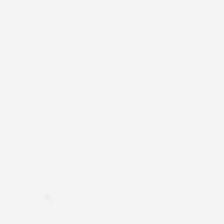FFPE; H&E — Empty field — no tissue.
